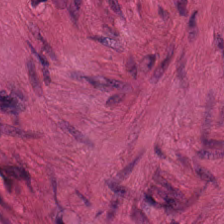Tissue = muscularis.
